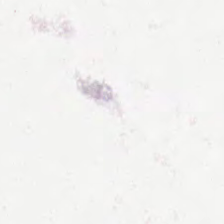Classification = no tissue.
